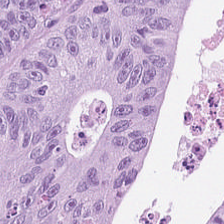224×224 pixel tile · hematoxylin-and-eosin stained section. This field is tumor epithelium.
